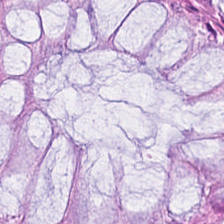H&E. Showing normal colonic mucosa.
